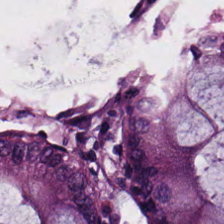H&E; brightfield microscopy. Histology → non-neoplastic colon mucosa.
